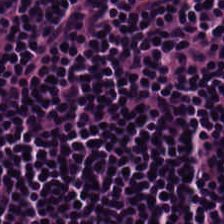This patch shows lymphocytes.
